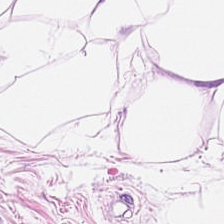H&E-stained tissue section. 224×224 px patch — Predominant tissue = adipose.
